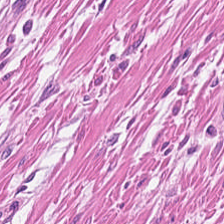Formalin-fixed paraffin-embedded section. H&E-stained tissue section. Q: What is the predominant tissue type?
A: Smooth-muscle tissue.
